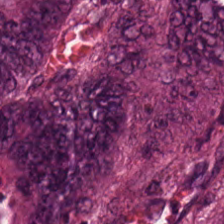Hematoxylin and eosin. Q: What tissue type is shown here?
A: This is extracellular mucin.
